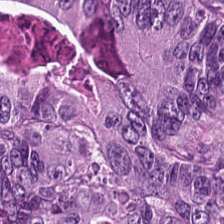Hematoxylin and eosin — Impression — adenocarcinoma.
